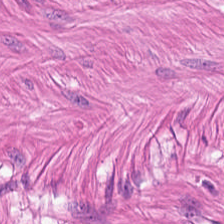Q: What is shown in this field?
A: Smooth muscle.
